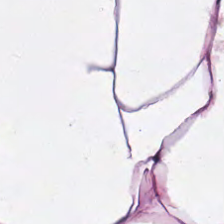Fat tissue.
